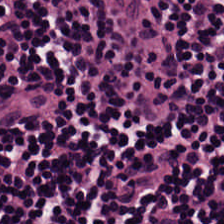0.5 µm/px; hematoxylin and eosin; WSI patch. Impression → lymphocytic infiltrate.
